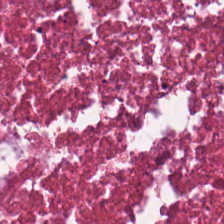FFPE tissue section. H&E stain. The classification is necrotic debris.
